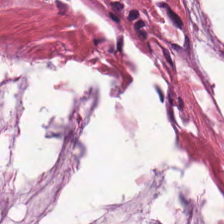224×224 pixel tile; H&E; FFPE tissue section — The classification is mucin.
